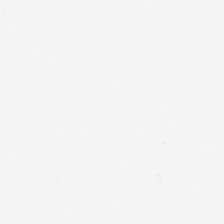H&E stain — Background — no tissue in this field.
